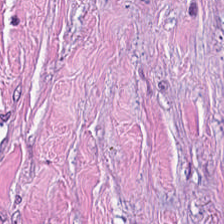H&E-stained tissue section. 224×224 pixel tile.
This patch shows tumor-associated stroma.
